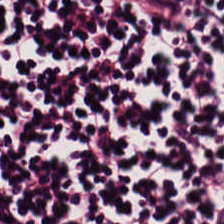224×224 pixel tile. FFPE. Hematoxylin-and-eosin stained section. Histology → lymphocytes.
